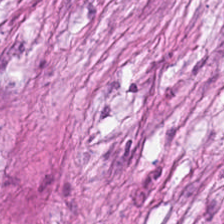Hematoxylin-and-eosin stained section; whole-slide-image patch; 224×224 pixel tile. The predominant tissue is tumor stroma.
